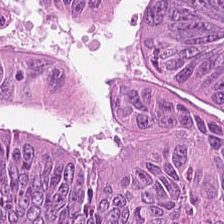0.5 µm/px · hematoxylin and eosin.
Q: What does this patch show?
A: Malignant epithelium.
